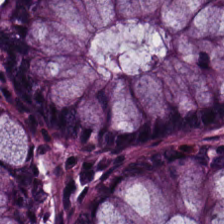224×224 px patch · hematoxylin and eosin. Histology — normal colon mucosa.
